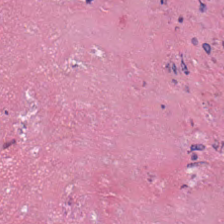H&E stain.
Q: What tissue type is shown here?
A: It is necrotic debris.
